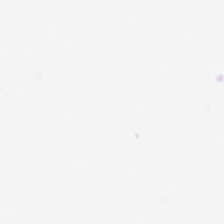H&E stain. 224×224 px patch. Content = background.
